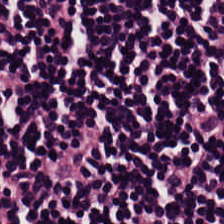Hematoxylin and eosin. Tissue type = lymphocytes.
